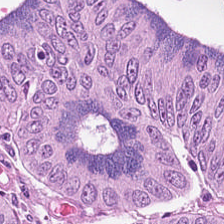H&E stain — Predominant tissue: adenocarcinoma.
